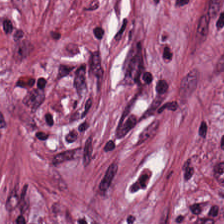Formalin-fixed paraffin-embedded section. WSI patch. Hematoxylin and eosin.
{"tissue_type": "desmoplastic stroma"}
